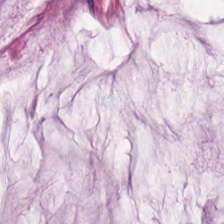Stain: H&E.
Resolution: 0.5 µm/px.
Tissue class: extracellular mucin.
